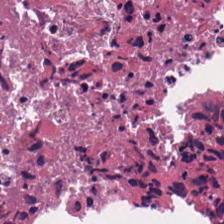Hematoxylin-and-eosin stained section.
The predominant tissue is cellular debris.
